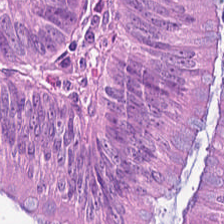H&E-stained tissue section. 0.5 µm per pixel.
Predominantly malignant epithelium.
